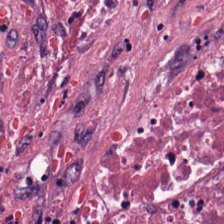H&E-stained tissue section — Q: What tissue is shown?
A: It is necrotic debris.
